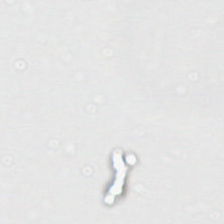H&E stain. This patch shows background.
